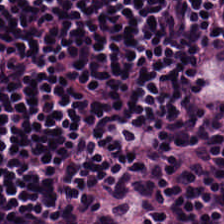Hematoxylin-and-eosin stained section.
Predominant tissue — lymphocytic infiltrate.
